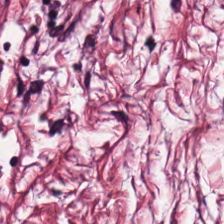Hematoxylin-and-eosin stained section. Tissue class — cancer-associated stroma.
